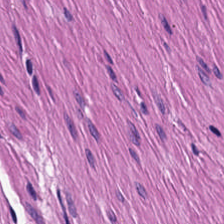Stain: hematoxylin and eosin.
Resolution: 0.5 microns per pixel.
Tissue: muscularis.
